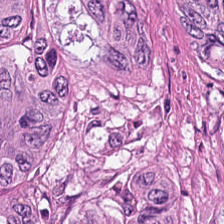Stain: hematoxylin-and-eosin stained section.
Tissue: malignant epithelium.
